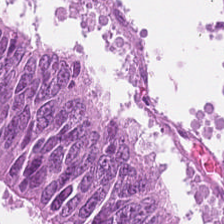Hematoxylin and eosin; brightfield; 0.5 µm/px — This patch shows colorectal adenocarcinoma.
